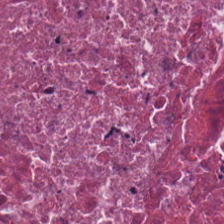The tissue here is debris.
